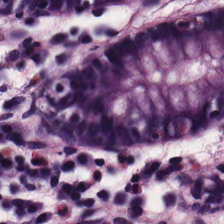H&E-stained tissue section. The predominant tissue is normal colonic mucosa.
